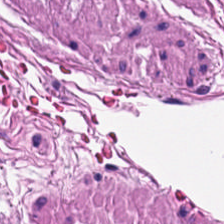This field is smooth-muscle tissue.
